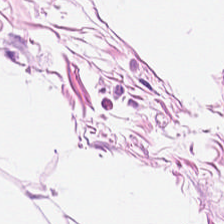Formalin-fixed paraffin-embedded section; H&E-stained tissue section.
Q: What is shown in this field?
A: This is adipose tissue.
